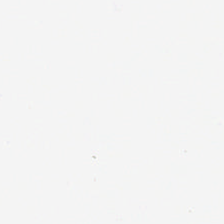H&E stain. Content = background (no tissue).
